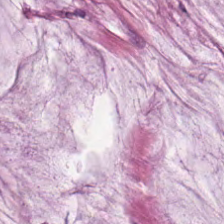Q: What type of tissue is this?
A: It is mucin.
